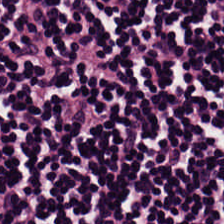H&E — Q: What type of tissue is this?
A: This is lymphocytes.
